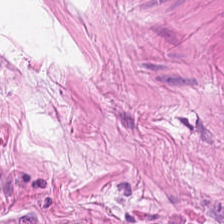Hematoxylin and eosin — The predominant tissue is smooth muscle.
